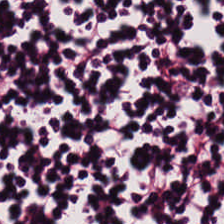This field is lymphocytic infiltrate.
